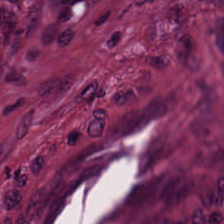Predominant tissue = tumor-associated stroma.
